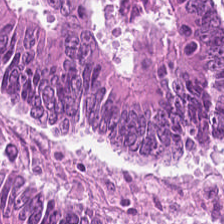Hematoxylin-and-eosin stained section.
This patch shows colorectal adenocarcinoma epithelium.
